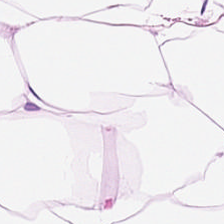H&E. Showing adipocytes.
